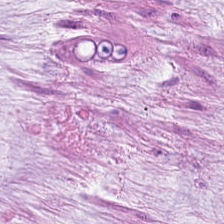Hematoxylin and eosin; 0.5 µm per pixel. Finding → extracellular mucin.
